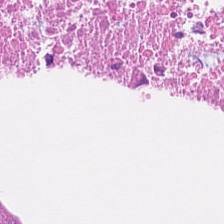H&E-stained tissue section.
Q: What is shown in this field?
A: Necrotic debris.
